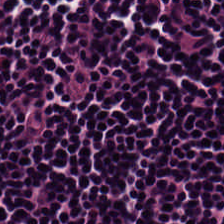H&E · formalin-fixed paraffin-embedded section · whole-slide-image patch — The predominant tissue is lymphoid infiltrate.
